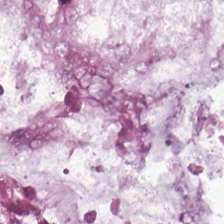Q: What does this patch show?
A: It is mucus.
